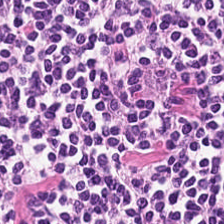H&E stain. Lymphocytic infiltrate.
